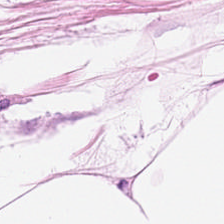{"tissue_type": "adipocytes"}
